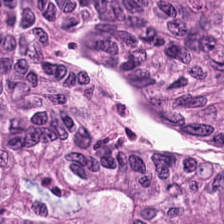Hematoxylin and eosin. Showing tumor epithelium.
